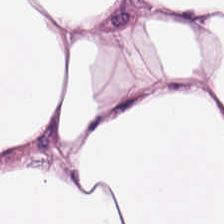Formalin-fixed paraffin-embedded section. Hematoxylin and eosin — Predominantly fat tissue.
